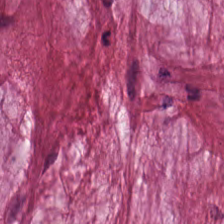H&E · 0.5 µm/px.
Q: Classify this patch.
A: It is mucus.
